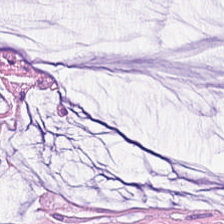0.5 µm per pixel. Hematoxylin-and-eosin stained section.
Tissue type — extracellular mucin.
